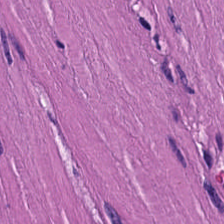H&E. Impression — smooth-muscle tissue.
